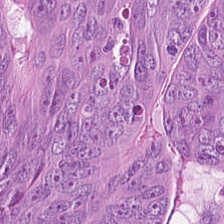Colorectal adenocarcinoma.
